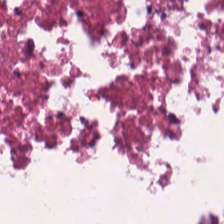H&E.
{"tissue_type": "necrotic debris"}
